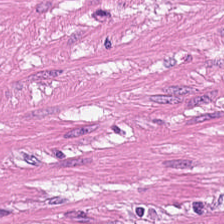Tissue class = smooth muscle.
